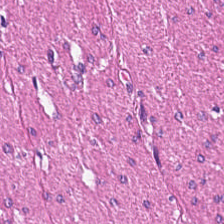Hematoxylin-and-eosin stained section · 224×224 pixel tile — Tissue = muscularis.
